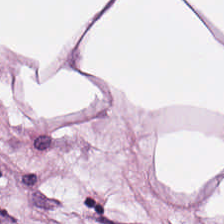Hematoxylin and eosin. Adipose tissue.
